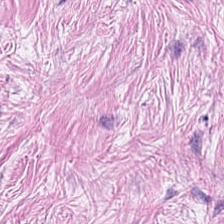H&E.
Tissue type: tumor-associated stroma.
